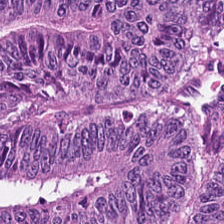WSI patch. FFPE. H&E-stained tissue section. Predominantly tumor epithelium.
